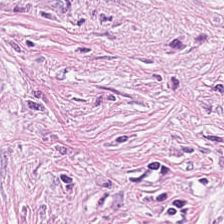Hematoxylin and eosin.
Predominantly cancer-associated stroma.
